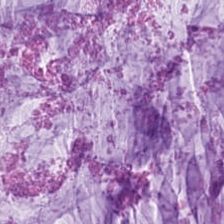224×224 px tile. Hematoxylin and eosin. 0.5 microns per pixel.
Impression → mucus.
